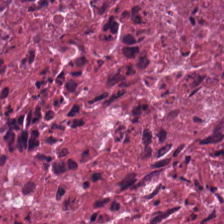The predominant tissue is cellular debris.
